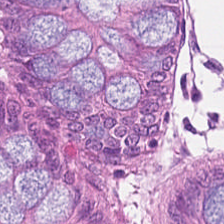The tissue is normal colon mucosa.
